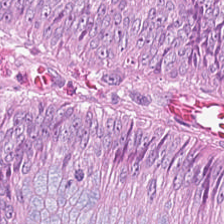Hematoxylin-and-eosin stained section; whole-slide-image patch. Predominantly malignant epithelium.
